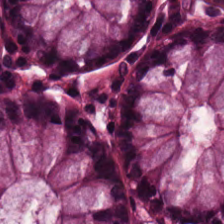224×224 pixel tile · H&E. Q: What is shown in this field?
A: This is normal colon mucosa.
